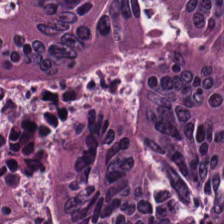Colorectal adenocarcinoma epithelium.
